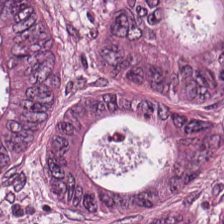Impression → adenocarcinoma.
